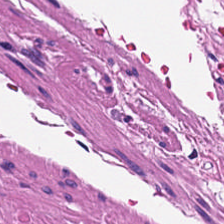Stain: H&E-stained tissue section.
Tile size: 224×224 px patch.
Tissue class: smooth muscle.
